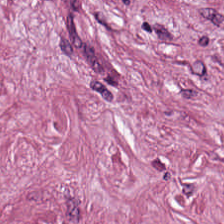H&E-stained tissue section.
Showing tumor stroma.
